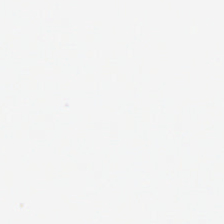224×224 px patch · H&E-stained tissue section — {"content": "no tissue"}
